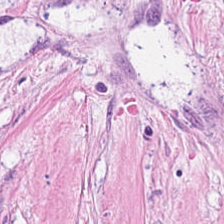{"tissue_type": "desmoplastic stroma"}
